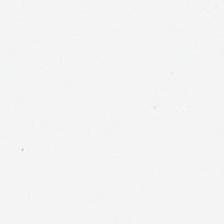H&E-stained tissue section.
Finding → background (no tissue).
